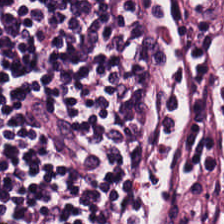H&E-stained tissue section.
The tissue here is lymphocytes.
